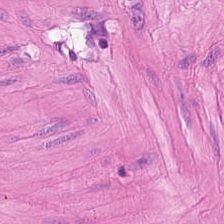224×224 px patch; hematoxylin and eosin.
This patch shows smooth-muscle tissue.
